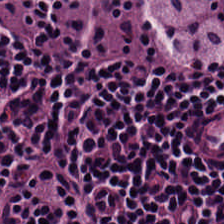Q: What tissue is shown?
A: The field shows lymphocytic infiltrate.
